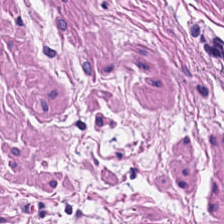224×224 px patch · H&E-stained tissue section · 20× equivalent magnification.
Tissue class: smooth muscle.
